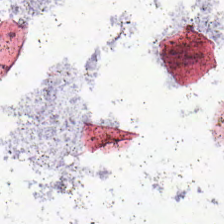FFPE tissue section; H&E-stained tissue section — Empty field — no tissue.
